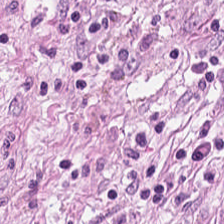H&E-stained tissue section.
Tissue type: desmoplastic stroma.
